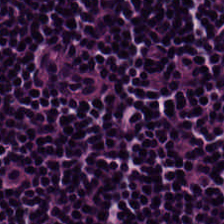FFPE · H&E-stained tissue section — The predominant tissue is lymphocytic infiltrate.
